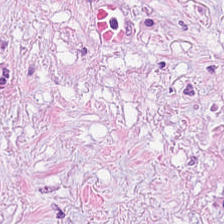Formalin-fixed paraffin-embedded section · hematoxylin-and-eosin stained section — Showing desmoplastic stroma.
